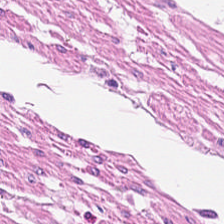Q: Classify this patch.
A: It is smooth muscle.
